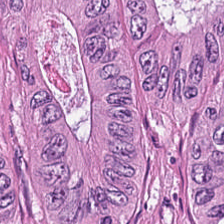Hematoxylin and eosin. 20× equivalent magnification. Brightfield.
Predominantly colorectal adenocarcinoma.
